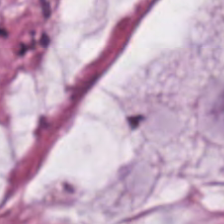Hematoxylin-and-eosin stained section. WSI patch.
{"tissue_type": "mucus"}
